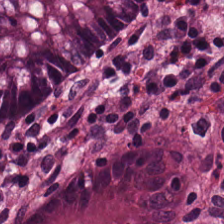Brightfield microscopy; formalin-fixed paraffin-embedded section; H&E-stained tissue section.
Predominant tissue: normal colon mucosa.
